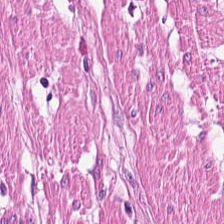This field is smooth-muscle tissue.
